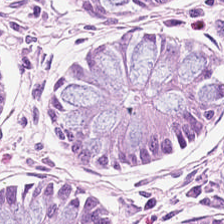Hematoxylin and eosin; formalin-fixed paraffin-embedded section; 224×224 px tile. Classification — benign colonic mucosa.
